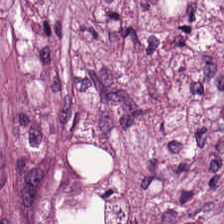H&E stain — Q: What does this patch show?
A: This is tumor stroma.
